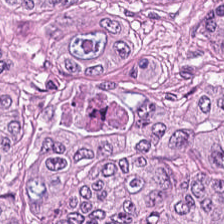Hematoxylin and eosin · 224×224 px tile · FFPE tissue section.
The tissue class is colorectal adenocarcinoma epithelium.
